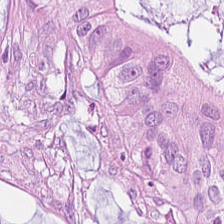H&E stain · 224×224 pixel tile.
Histology → colorectal adenocarcinoma epithelium.
